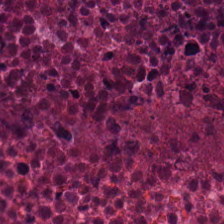Showing debris.
